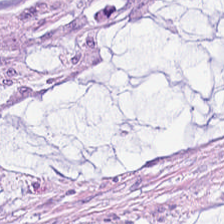Hematoxylin and eosin.
This patch shows mucus.
